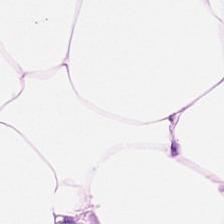Predominant tissue = adipose tissue.
